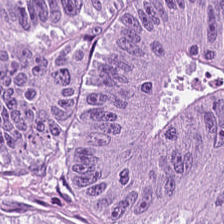H&E stain.
Predominant tissue = malignant epithelium.
